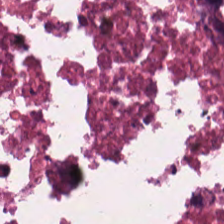Hematoxylin-and-eosin stained section.
Q: Identify the tissue.
A: This is cellular debris.
